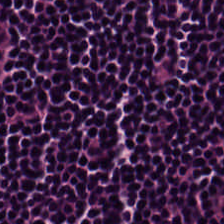Hematoxylin-and-eosin stained section.
Showing lymphocytic infiltrate.
